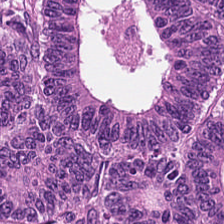H&E stain. Malignant epithelium.
